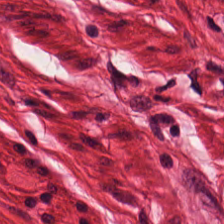H&E. Tissue class: smooth-muscle tissue.
